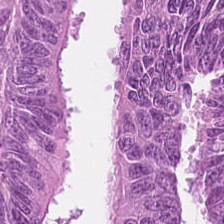FFPE tissue section; 0.5 microns per pixel; hematoxylin and eosin.
Tissue class — tumor epithelium.
